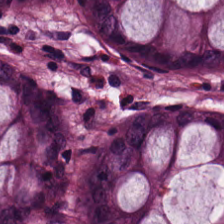This field is normal colonic mucosa.
